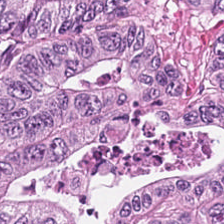Hematoxylin and eosin; formalin-fixed paraffin-embedded section — The predominant tissue is tumor epithelium.
